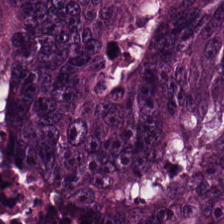Colorectal adenocarcinoma epithelium.
